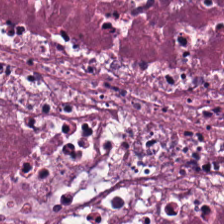224×224 px tile; H&E-stained tissue section. Cellular debris.
